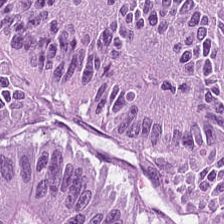Finding — colorectal adenocarcinoma epithelium.
